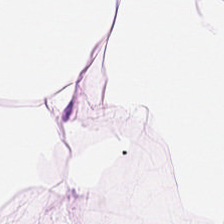Hematoxylin-and-eosin stained section.
Tissue — adipocytes.
